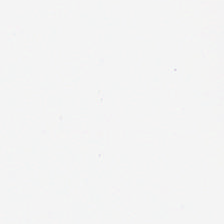Hematoxylin-and-eosin stained section. No tissue present; background only.
